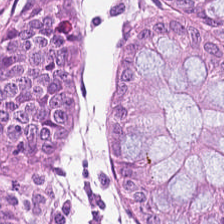Stain: H&E.
Classification: normal colon mucosa.
